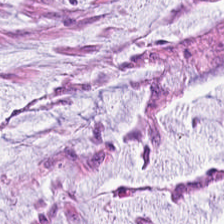H&E. Q: What does this patch show?
A: The field shows extracellular mucin.
